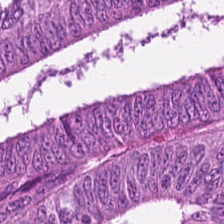H&E-stained tissue section. Formalin-fixed paraffin-embedded section. Showing malignant epithelium.
